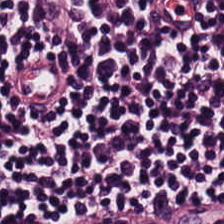Formalin-fixed paraffin-embedded section. H&E stain. Predominant tissue = lymphocyte aggregate.
